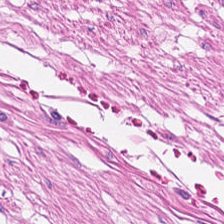{"tissue_type": "smooth muscle"}
